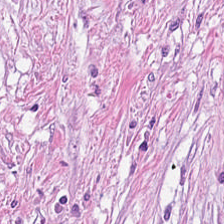Predominant tissue: tumor-associated stroma.
